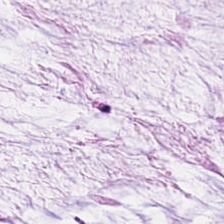Hematoxylin and eosin · whole-slide-image patch — Impression → extracellular mucin.
